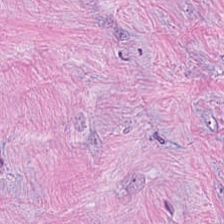H&E.
The tissue here is tumor stroma.
